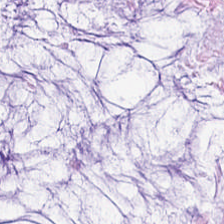H&E. Q: What is shown here?
A: Extracellular mucin.
